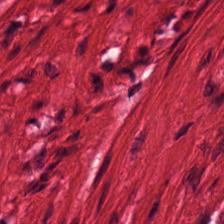H&E stain.
Predominantly muscularis.
